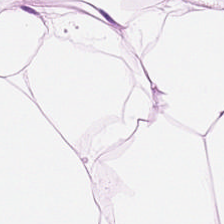Hematoxylin and eosin. The predominant tissue is adipocytes.
